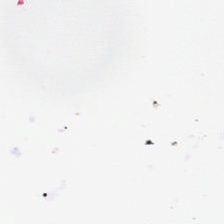H&E stain — Empty field — background.
